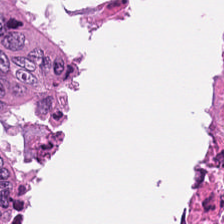Hematoxylin and eosin; 224×224 pixel tile.
Histology → necrotic debris.
